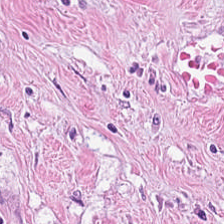FFPE · H&E. The tissue here is tumor stroma.
